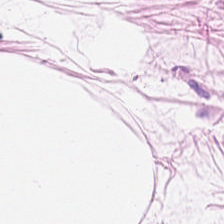H&E. Tissue = adipose tissue.
